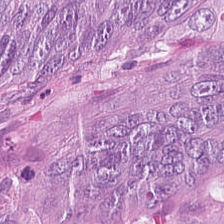H&E stain — Predominantly malignant epithelium.
